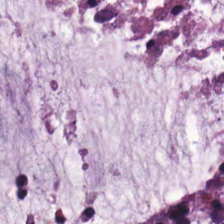Hematoxylin and eosin.
Finding → mucin.
